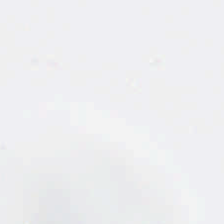Q: What does this patch show?
A: It is background.
